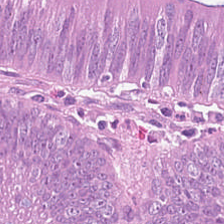Hematoxylin-and-eosin stained section. The tissue here is colorectal adenocarcinoma.
